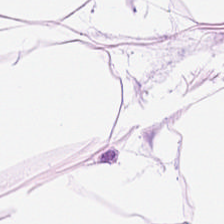Finding → adipose.
